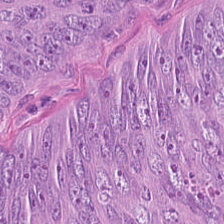H&E patch showing colorectal adenocarcinoma.
